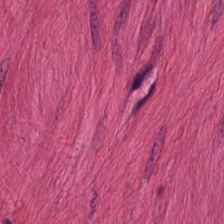Classification = smooth muscle.
